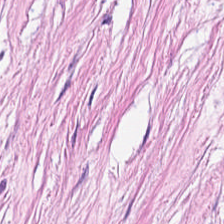Hematoxylin-and-eosin stained section — Tumor stroma.
